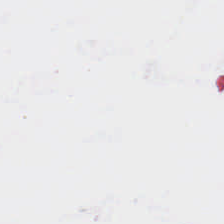FFPE tissue section · H&E stain.
Histology — background.
